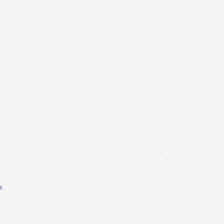224×224 px tile; brightfield; H&E-stained tissue section.
No tissue present; background only.
